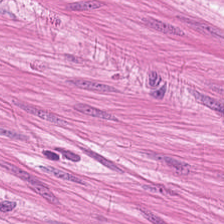Q: What tissue type is shown here?
A: This is smooth-muscle tissue.
